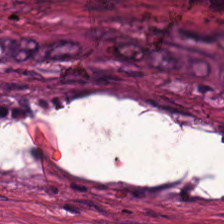Hematoxylin-and-eosin stained section; 224×224 px tile — Q: What is the predominant tissue type?
A: Cancer-associated stroma.
